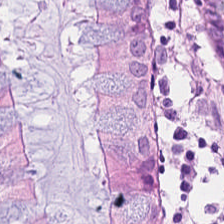Showing normal colonic mucosa.
